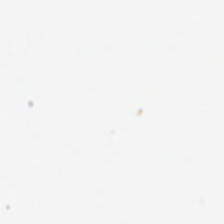The field content is background (no tissue).
